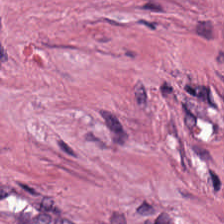The tissue is tumor-associated stroma.
